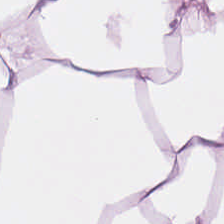Hematoxylin-and-eosin stained section · brightfield microscopy · 0.5 microns per pixel. Q: What tissue is shown?
A: Fat tissue.
